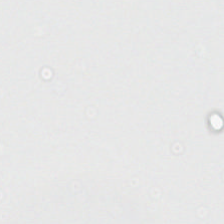H&E-stained tissue section. WSI patch. 0.5 µm per pixel — Empty field — empty background.
